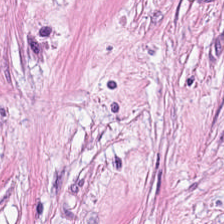Q: What is shown in this field?
A: It is desmoplastic stroma.
